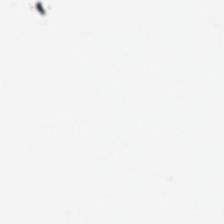No tissue present; background only.
